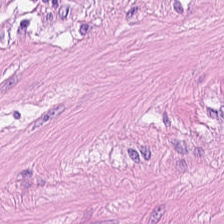H&E.
Q: What tissue is shown?
A: Muscularis.
